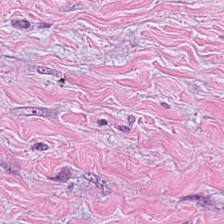FFPE tissue section. Hematoxylin and eosin.
Impression → tumor-associated stroma.
